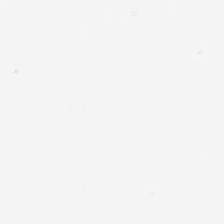Classification = no tissue.
